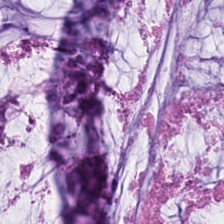Hematoxylin-and-eosin stained section.
The tissue here is mucus.
